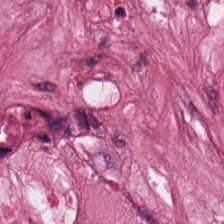WSI patch; H&E.
The predominant tissue is tumor stroma.
